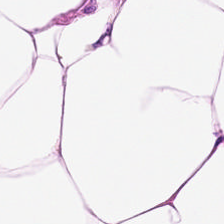H&E stain.
Classification = adipocytes.
